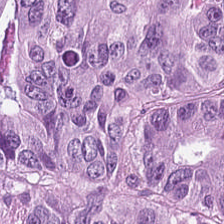Formalin-fixed paraffin-embedded section · H&E-stained tissue section.
The tissue is malignant epithelium.
